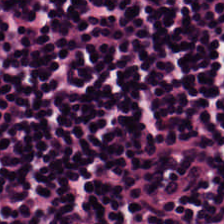224×224 px tile; H&E stain.
The tissue here is lymphocytic infiltrate.
